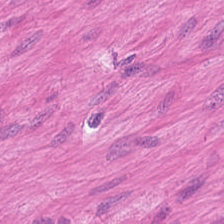Hematoxylin and eosin · 224×224 px tile.
Q: What is shown in this field?
A: Smooth-muscle tissue.
